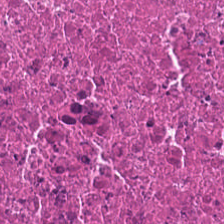Finding → necrotic debris.
